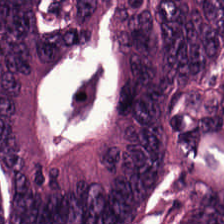FFPE tissue section. Hematoxylin and eosin. This patch shows colorectal adenocarcinoma.
